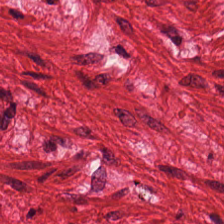Hematoxylin-and-eosin stained section. 224×224 px tile. WSI patch.
Predominant tissue — smooth muscle.
